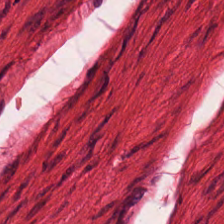Hematoxylin and eosin. Smooth muscle.
